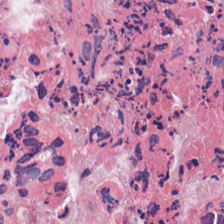Stain: H&E-stained tissue section.
Acquisition: WSI patch.
Tissue: debris.
